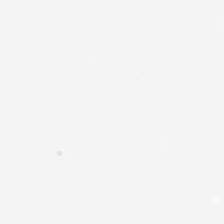H&E — Content = background.
